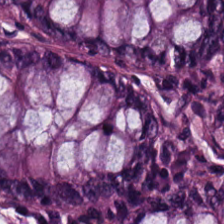Predominantly normal colon mucosa.
